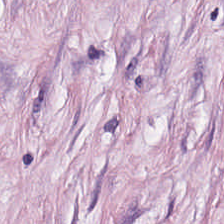WSI patch; hematoxylin and eosin. Histology — desmoplastic stroma.
